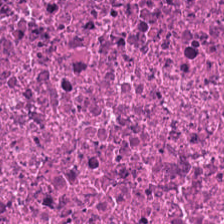Hematoxylin and eosin; brightfield microscopy — Cellular debris.
